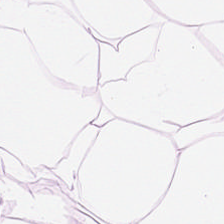Hematoxylin and eosin. Classification = adipocytes.
